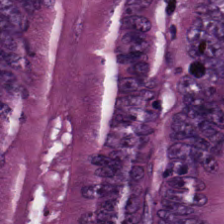H&E.
Q: Classify this patch.
A: The field shows malignant epithelium.
